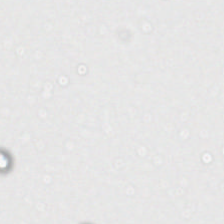Field content — background.
